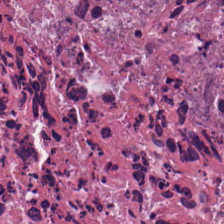H&E-stained tissue section. {"tissue_type": "necrotic debris"}
